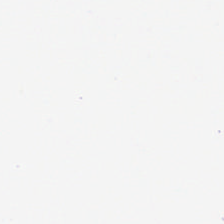Stain: hematoxylin and eosin.
Field content: background (no tissue).
